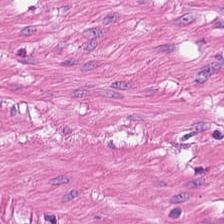Hematoxylin-and-eosin stained section — Classification: muscularis.
